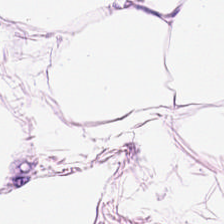Brightfield microscopy; H&E stain; 224×224 pixel tile — Predominant tissue — fat tissue.
